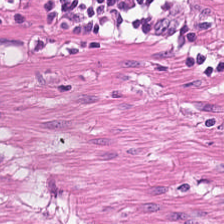H&E-stained section; the field shows muscularis.
